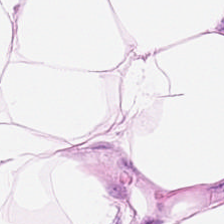H&E.
The tissue here is adipose.
